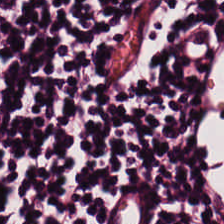Stain: H&E stain.
Resolution: 0.5 µm per pixel.
Acquisition: brightfield microscopy.
Tissue type: lymphoid infiltrate.
